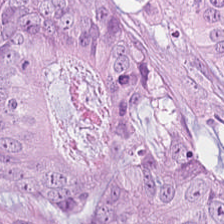Showing tumor epithelium.
